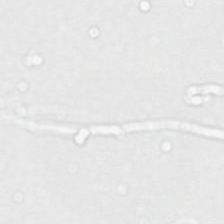Stain: H&E.
Classification: no tissue.
